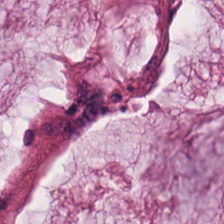H&E. 224×224 px tile. Q: What is shown here?
A: This is extracellular mucin.
